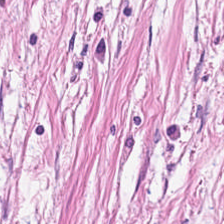The predominant tissue is cancer-associated stroma.
